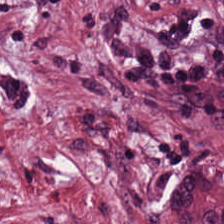Stain: H&E stain.
Tissue type: tumor-associated stroma.
